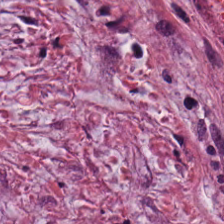Hematoxylin and eosin. The predominant tissue is cancer-associated stroma.
